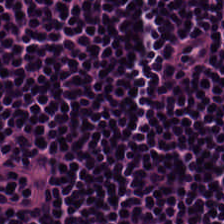H&E stain. Showing lymphocyte aggregate.
